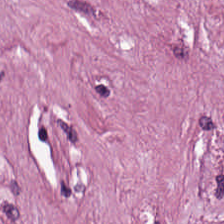Stain: hematoxylin-and-eosin stained section.
Tile size: 224×224 px patch.
Preparation: FFPE tissue section.
Predominant tissue: cancer-associated stroma.
